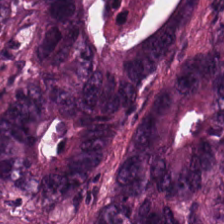Hematoxylin and eosin. Tumor epithelium.
